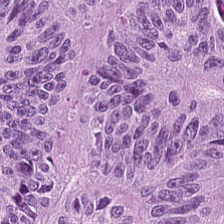Brightfield microscopy; hematoxylin and eosin.
The classification is malignant epithelium.
